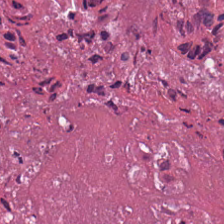Hematoxylin and eosin.
The predominant tissue is necrotic debris.
